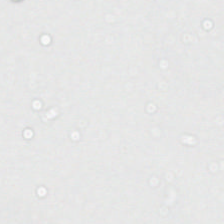Hematoxylin and eosin. 224×224 px tile.
No tissue present; background only.
